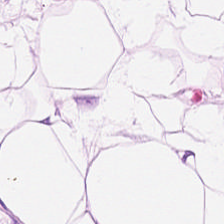FFPE tissue section · hematoxylin-and-eosin stained section — Finding → fat tissue.
